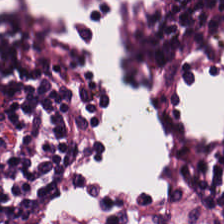224×224 pixel tile; H&E-stained tissue section — Tissue class: lymphocytes.
